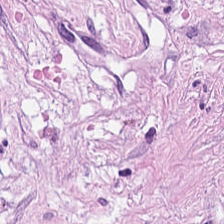224×224 px patch; H&E stain; 20× equivalent magnification.
This field is tumor stroma.
